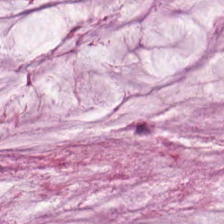Extracellular mucin.
